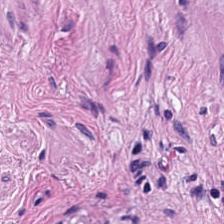This field is muscularis.
